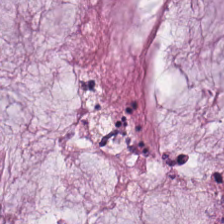Impression — extracellular mucin.
